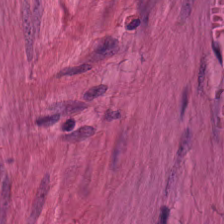Hematoxylin-and-eosin stained section — Histology → muscularis.
